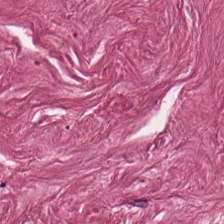Q: Identify the tissue.
A: The field shows desmoplastic stroma.
